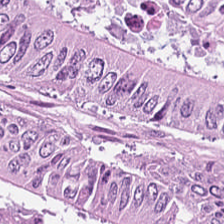{"tissue_type": "colorectal adenocarcinoma"}
